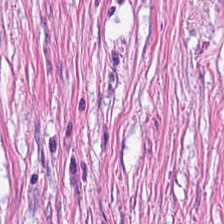Formalin-fixed paraffin-embedded section · H&E stain.
Predominantly tumor-associated stroma.
